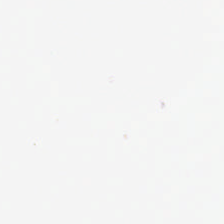Formalin-fixed paraffin-embedded section. H&E-stained tissue section — No tissue present; background only.
